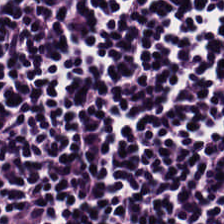Hematoxylin-and-eosin stained section. Showing lymphocytes.
